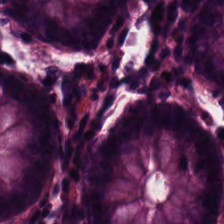H&E — This field is benign colonic mucosa.
